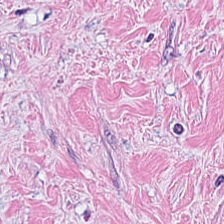H&E stain.
{"tissue_type": "tumor stroma"}
